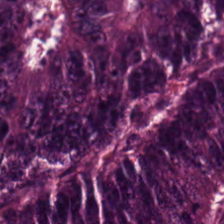FFPE tissue section. H&E stain.
Q: What type of tissue is this?
A: It is malignant epithelium.
